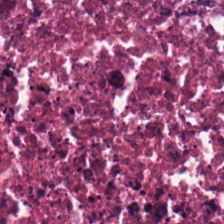Hematoxylin-and-eosin stained section; 224×224 pixel tile.
Finding — cellular debris.
